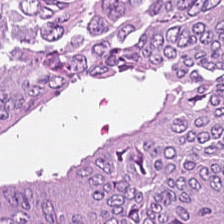H&E-stained tissue section showing adenocarcinoma.
